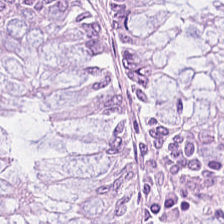Hematoxylin and eosin. Formalin-fixed paraffin-embedded section.
Q: What does this patch show?
A: It is normal colonic mucosa.
